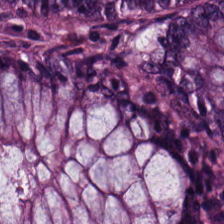H&E · FFPE — Histology — normal colonic mucosa.
